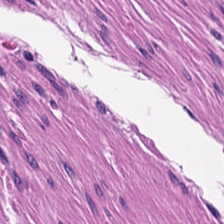H&E stain — Showing smooth-muscle tissue.
